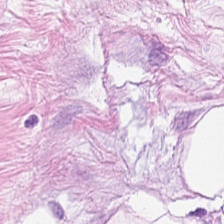Predominant tissue: adipose.
